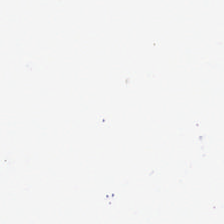Formalin-fixed paraffin-embedded section. 0.5 µm/px. Hematoxylin and eosin — Q: What is shown here?
A: This is empty background.
